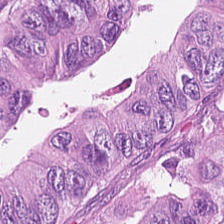Histology → malignant epithelium.
